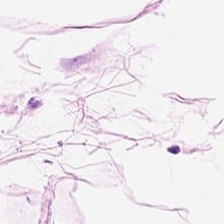224×224 px tile · H&E stain — Q: What does this patch show?
A: This is adipose.
